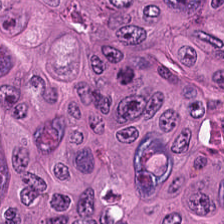Brightfield microscopy · hematoxylin and eosin · FFPE — Tumor epithelium.
